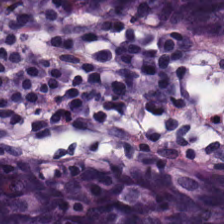H&E stain — Predominantly benign colonic mucosa.
